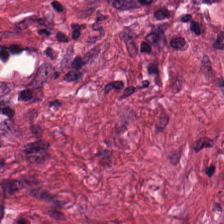Hematoxylin-and-eosin section: desmoplastic stroma.
